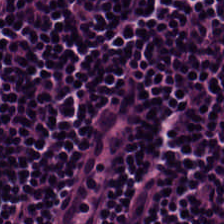H&E-stained tissue section. WSI patch — Impression → lymphocytes.
